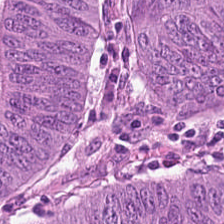Hematoxylin and eosin; 224×224 px patch; WSI patch — Predominantly tumor epithelium.
